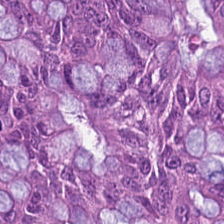Hematoxylin-and-eosin stained section — Finding → malignant epithelium.
